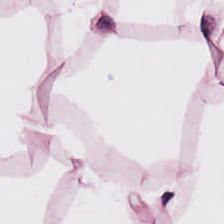H&E-stained tissue section; 224×224 px patch.
Tissue: adipocytes.
